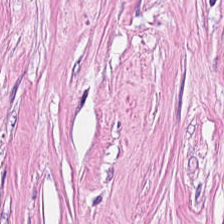H&E patch showing tumor stroma.
